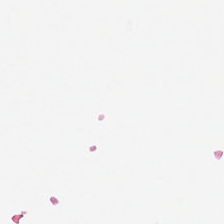Formalin-fixed paraffin-embedded section. Whole-slide-image patch. H&E-stained tissue section. Background (no tissue).
